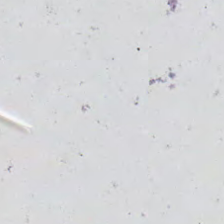Formalin-fixed paraffin-embedded section; 20× equivalent magnification; H&E-stained tissue section. This patch shows background.
